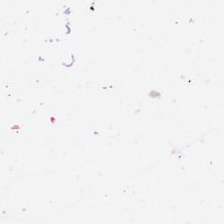Q: What is shown here?
A: The field shows background (no tissue).
